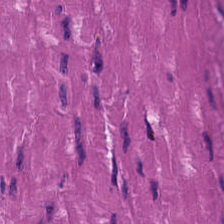Formalin-fixed paraffin-embedded section · H&E.
Showing smooth muscle.
